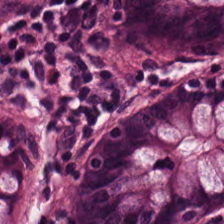Brightfield · H&E-stained tissue section — Showing normal colon mucosa.
